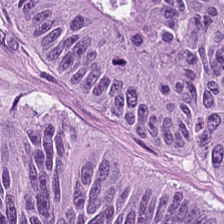The tissue type is colorectal adenocarcinoma epithelium.
